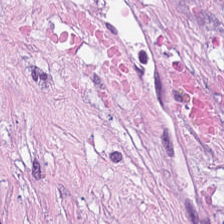Stain: H&E stain.
Classification: cancer-associated stroma.
